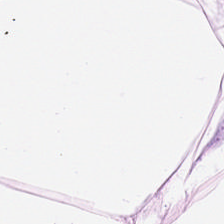H&E · WSI patch · 224×224 px patch.
Histology → adipocytes.
